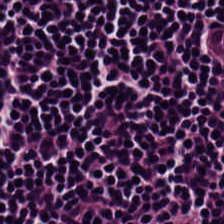Hematoxylin-and-eosin stained section.
The tissue here is lymphocytic infiltrate.
